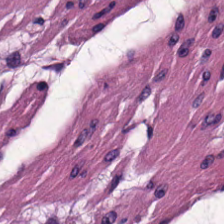Hematoxylin and eosin — Tissue class — muscularis.
